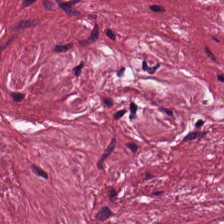H&E stain · formalin-fixed paraffin-embedded section. Q: Classify this patch.
A: This is desmoplastic stroma.
